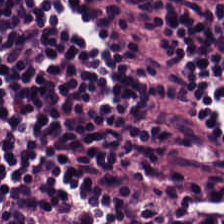H&E — The classification is lymphocyte aggregate.
